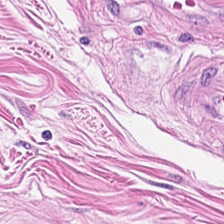H&E stain. 224×224 pixel tile — Q: What does this patch show?
A: This is smooth muscle.
